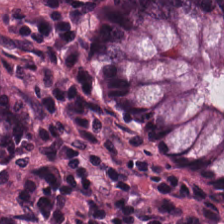0.5 µm/px. Hematoxylin-and-eosin stained section — Predominantly normal colon mucosa.
